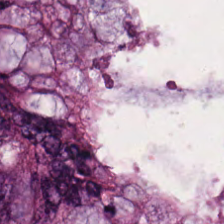224×224 px tile · H&E.
Q: Identify the tissue.
A: Extracellular mucin.
